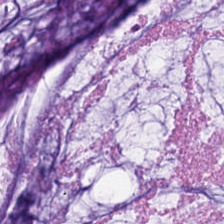{"tissue_type": "mucin"}
